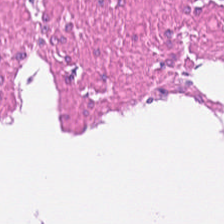Hematoxylin-and-eosin stained section — This field is smooth-muscle tissue.
